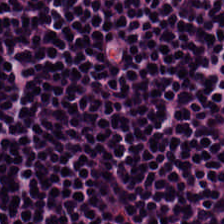H&E. 224×224 px patch. 0.5 µm per pixel — Q: What tissue type is shown here?
A: It is lymphocyte aggregate.
